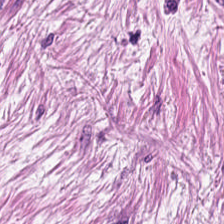Stain: H&E.
Tile size: 224×224 px patch.
Tissue type: cancer-associated stroma.
